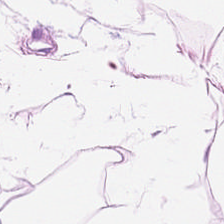224×224 px patch · hematoxylin-and-eosin stained section · FFPE tissue section.
Tissue class: adipose.
